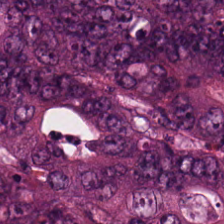The tissue here is malignant epithelium.
